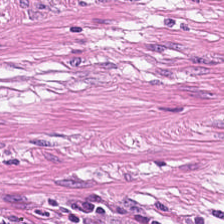Stain: H&E stain.
Predominant tissue: smooth-muscle tissue.
